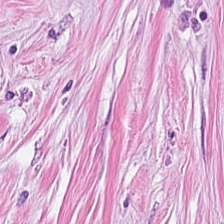224×224 pixel tile; hematoxylin and eosin; 20× equivalent magnification — This patch shows desmoplastic stroma.
